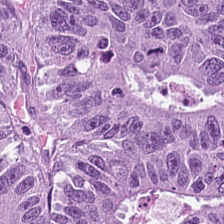H&E — Histology — tumor epithelium.
